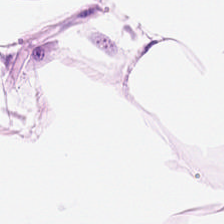Stain: hematoxylin-and-eosin stained section.
Predominant tissue: fat tissue.
